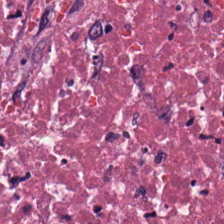Q: What is shown in this field?
A: Necrotic debris.
